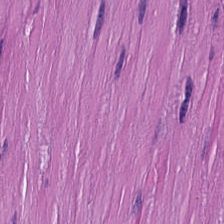Hematoxylin-and-eosin stained section.
The predominant tissue is muscularis.
